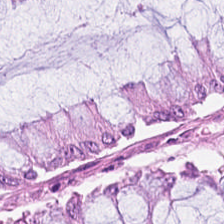20× equivalent magnification; hematoxylin and eosin. Tissue — benign colonic mucosa.
